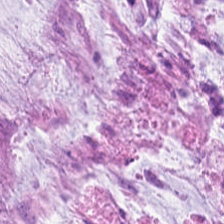Whole-slide-image patch; H&E-stained tissue section. Histology → mucin.
